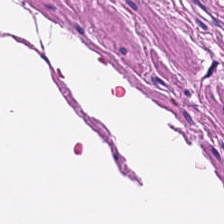Brightfield microscopy. Hematoxylin and eosin — Q: What is shown in this field?
A: It is smooth-muscle tissue.
